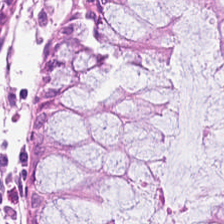Hematoxylin-and-eosin stained section.
This field is benign colonic mucosa.
